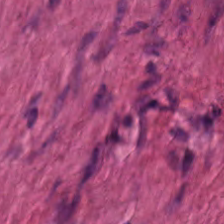Tissue type = muscularis.
